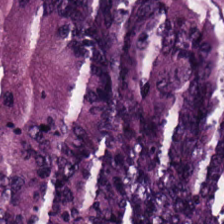H&E; 0.5 microns per pixel. Q: What is the predominant tissue type?
A: This is malignant epithelium.
